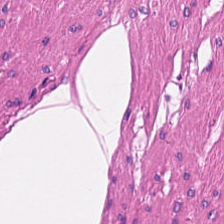H&E stain.
The predominant tissue is smooth muscle.
